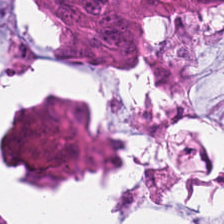224×224 pixel tile. H&E.
Q: What is the predominant tissue type?
A: The field shows malignant epithelium.
